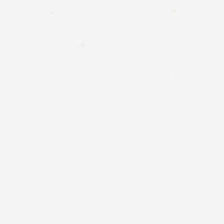Hematoxylin and eosin · brightfield microscopy. Q: What does this patch show?
A: It is background.
